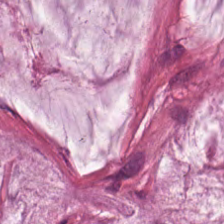Hematoxylin-and-eosin stained section — Tissue = mucin.
